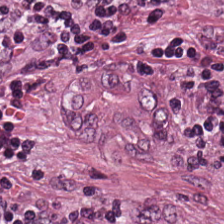Formalin-fixed paraffin-embedded section · hematoxylin and eosin · 224×224 px patch — Showing adenocarcinoma.
